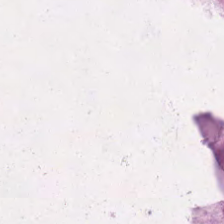0.5 microns per pixel; hematoxylin-and-eosin stained section; FFPE tissue section. Histology → mucus.
